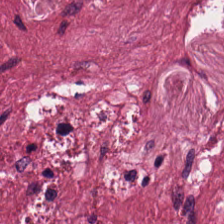Hematoxylin-and-eosin stained section — The tissue here is cancer-associated stroma.
